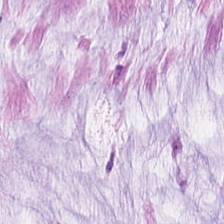20× equivalent magnification; hematoxylin and eosin; 224×224 px patch. Predominant tissue: mucus.
